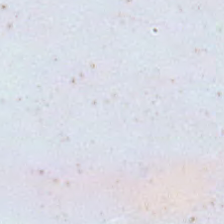H&E-stained tissue section.
Empty field — background (no tissue).
